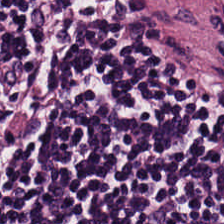H&E stain — Predominantly lymphocyte aggregate.
